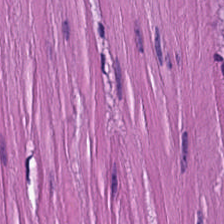H&E stain. Predominantly smooth muscle.
